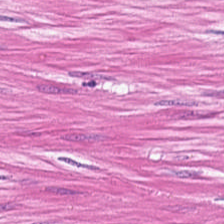0.5 µm/px · 224×224 px patch · H&E.
Classification — smooth-muscle tissue.
